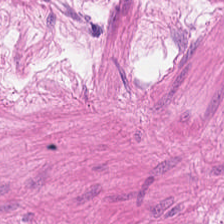H&E. The predominant tissue is muscularis.
